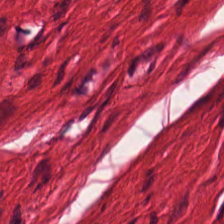Stain: hematoxylin-and-eosin stained section.
Preparation: FFPE.
Tissue class: muscularis.
